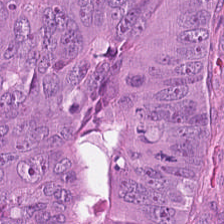FFPE; H&E. Predominant tissue = tumor epithelium.
